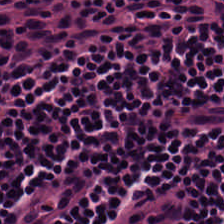Lymphocytic infiltrate.
